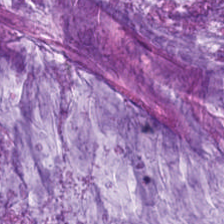Stain: H&E.
Classification: mucin.
